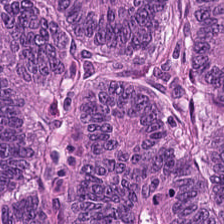Hematoxylin and eosin. FFPE. Tissue — malignant epithelium.
